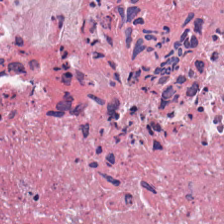Stain: H&E.
Tissue type: necrotic debris.
